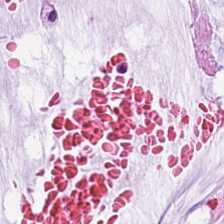Stain: H&E.
Tissue class: mucin.
